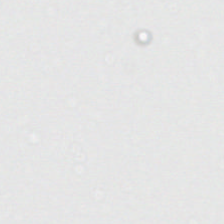H&E.
Empty field — empty background.
